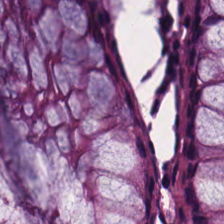This patch shows benign colonic mucosa.
